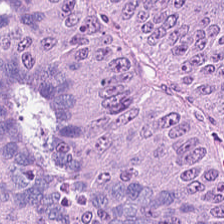Classification = adenocarcinoma.
